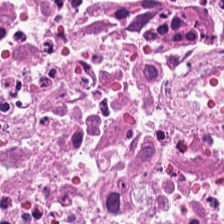Formalin-fixed paraffin-embedded section. Hematoxylin-and-eosin stained section. 0.5 µm/px.
Predominantly debris.
